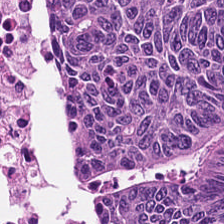H&E.
Q: What is the predominant tissue type?
A: It is colorectal adenocarcinoma epithelium.
